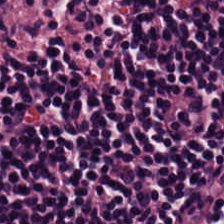H&E stain. The tissue type is lymphocyte aggregate.
